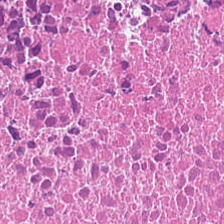0.5 µm per pixel · H&E-stained tissue section — Impression — debris.
